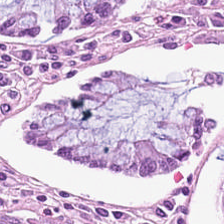H&E stain. Brightfield. 224×224 px tile — This patch shows normal colon mucosa.
